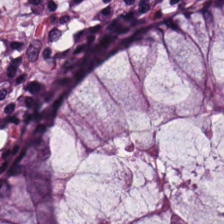0.5 microns per pixel · H&E stain. The tissue type is non-neoplastic colon mucosa.
